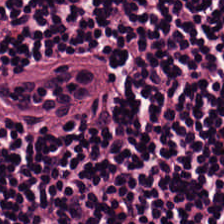Hematoxylin-and-eosin stained section · brightfield microscopy.
This field is lymphocytes.
